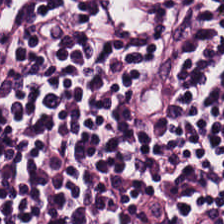Hematoxylin and eosin. Lymphocytic infiltrate.
